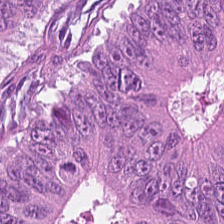FFPE tissue section. 224×224 px patch. H&E stain — The classification is malignant epithelium.
